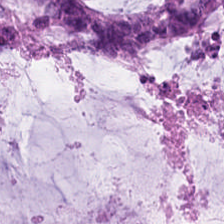H&E stain; 224×224 px tile.
Predominantly mucin.
